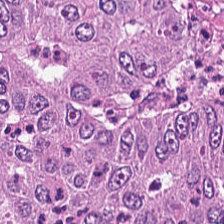H&E — adenocarcinoma.
